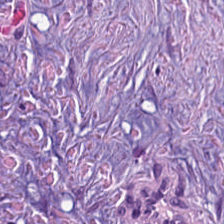Stain: H&E.
Resolution: 0.5 µm/px.
Preparation: formalin-fixed paraffin-embedded section.
Tissue class: tumor-associated stroma.
